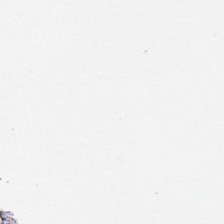H&E-stained tissue section.
This patch shows background (no tissue).
